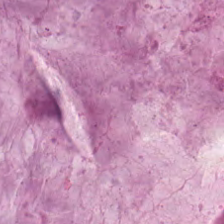Tissue = mucus.
